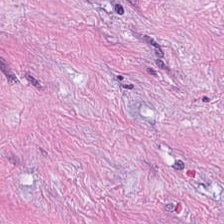H&E stain. Showing tumor-associated stroma.
